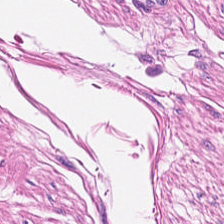Hematoxylin and eosin — {"tissue_type": "smooth-muscle tissue"}
